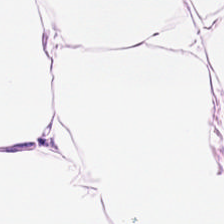Hematoxylin and eosin.
Predominant tissue: adipose tissue.
